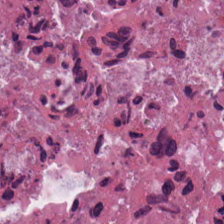H&E stain — The predominant tissue is debris.
